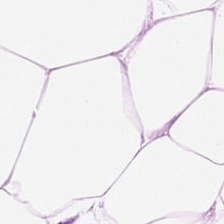Stain: hematoxylin-and-eosin stained section.
Predominant tissue: adipocytes.
